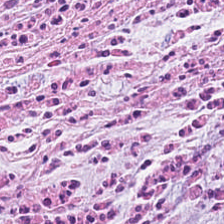H&E stain — Predominant tissue — tumor stroma.
